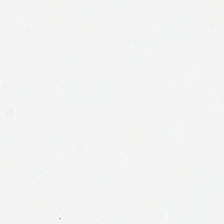H&E — Field content = empty background.
